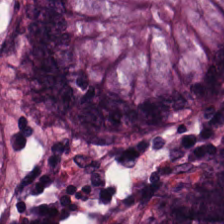Hematoxylin and eosin · 224×224 pixel tile. The predominant tissue is non-neoplastic colon mucosa.
